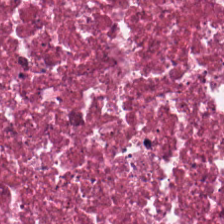H&E. Brightfield. 224×224 px tile.
Finding → debris.
